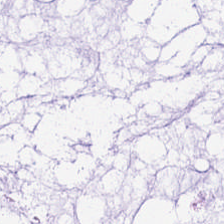Extracellular mucin.
